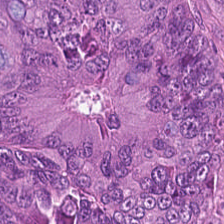H&E stain. This field is colorectal adenocarcinoma epithelium.
